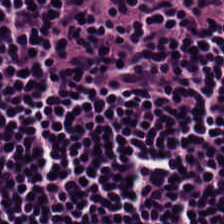This patch shows lymphoid infiltrate.
